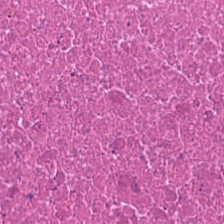224×224 pixel tile · H&E. This patch shows debris.
